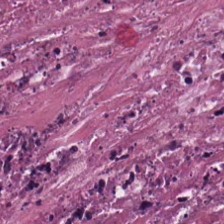H&E; 0.5 µm/px. Impression — necrotic debris.
